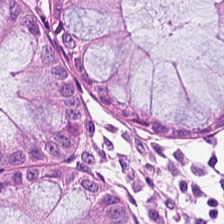H&E-stained section; the field shows benign colonic mucosa.
